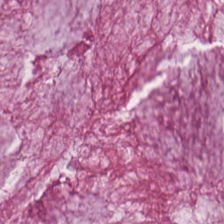Classification = extracellular mucin.
